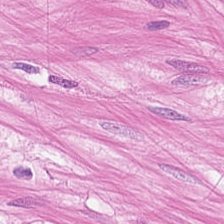Stain: H&E stain.
Predominant tissue: muscularis.
